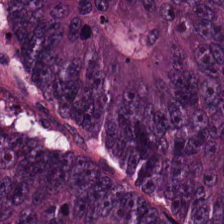Stain: H&E stain.
Resolution: 0.5 µm/px.
Tissue class: adenocarcinoma.
